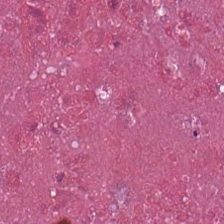Hematoxylin-and-eosin stained section. This patch shows necrotic debris.
